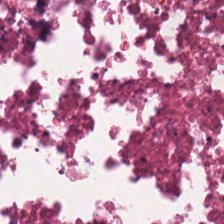H&E-stained tissue section. The predominant tissue is cellular debris.
